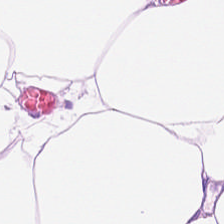H&E.
Predominant tissue: adipocytes.
